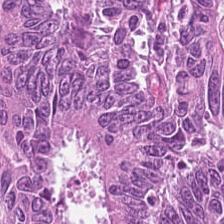H&E stain. Predominantly colorectal adenocarcinoma.
